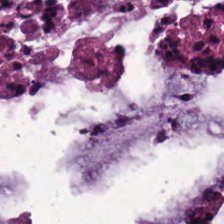Hematoxylin and eosin — This patch shows mucus.
